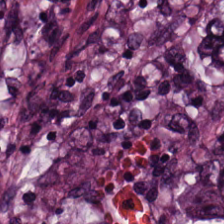FFPE tissue section. H&E — Impression — colorectal adenocarcinoma epithelium.
